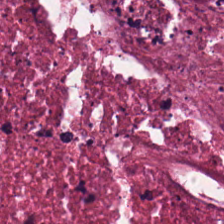Classification — necrotic debris.
